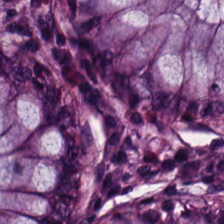H&E-stained tissue section.
Impression → normal colonic mucosa.
